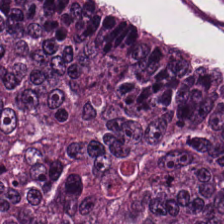Tumor epithelium.
